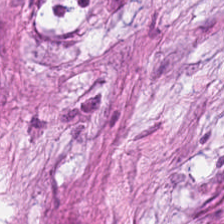H&E.
Showing desmoplastic stroma.
